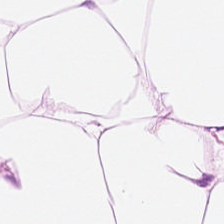{"tissue_type": "fat tissue"}
